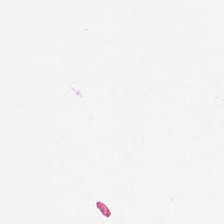Hematoxylin and eosin — Content = no tissue.
